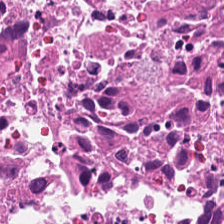H&E stain.
Showing cellular debris.
